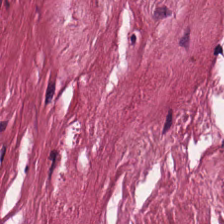Stain: hematoxylin-and-eosin stained section.
Tissue class: desmoplastic stroma.
